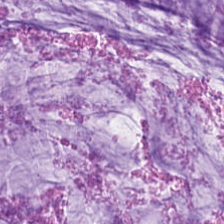FFPE tissue section; 0.5 microns per pixel; H&E. Showing mucus.
